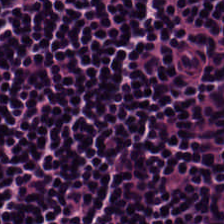Hematoxylin-and-eosin stained section.
Lymphocytic infiltrate.
